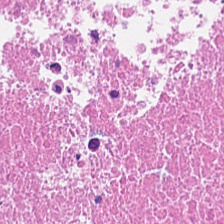H&E stain — Tissue class: cellular debris.
